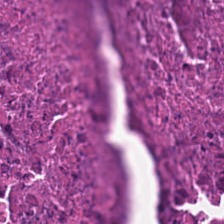Hematoxylin-and-eosin section: necrotic debris.
